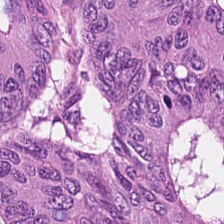0.5 µm/px; H&E-stained tissue section. Q: Classify this patch.
A: Colorectal adenocarcinoma epithelium.
